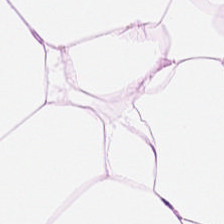Stain: hematoxylin-and-eosin stained section.
Tile size: 224×224 px patch.
Tissue class: adipocytes.
